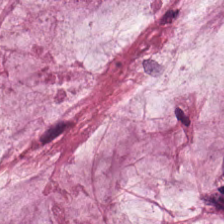224×224 pixel tile. Formalin-fixed paraffin-embedded section. H&E stain.
Tissue type = extracellular mucin.
